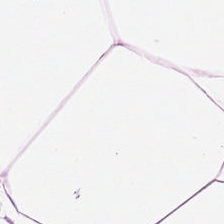H&E; 0.5 microns per pixel — Showing fat tissue.
